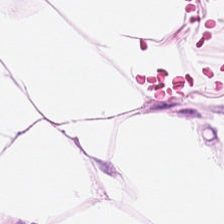224×224 px patch. H&E-stained tissue section. Predominantly adipose tissue.
